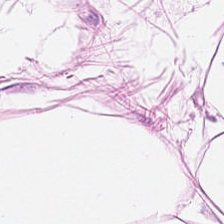Tissue — adipocytes.
